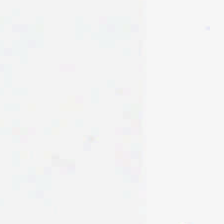Q: Classify this patch.
A: The field shows background.
